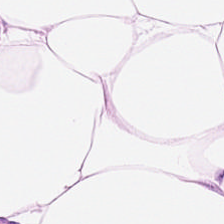The predominant tissue is adipocytes.
